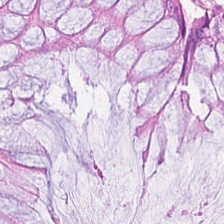Stain: hematoxylin and eosin.
Tissue type: benign colonic mucosa.
